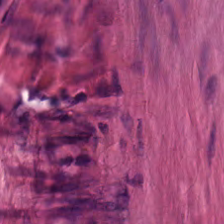{"tissue_type": "smooth-muscle tissue"}
